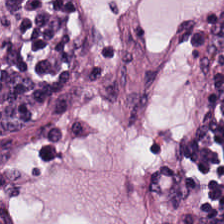Tissue type: lymphoid infiltrate.
